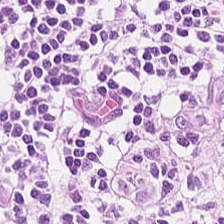Formalin-fixed paraffin-embedded section · hematoxylin-and-eosin stained section.
Showing lymphocytic infiltrate.
